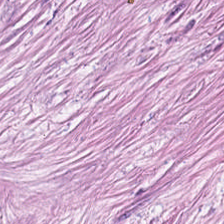Predominant tissue — tumor stroma.
